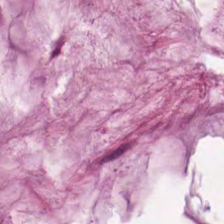0.5 µm per pixel. Hematoxylin-and-eosin stained section. Tissue class — extracellular mucin.
